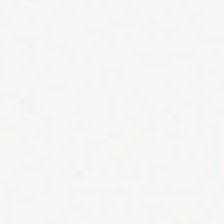H&E-stained tissue section.
Q: What is shown in this field?
A: This is background.
